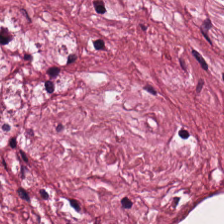H&E-stained tissue section · whole-slide-image patch · 0.5 µm per pixel.
The predominant tissue is tumor stroma.
